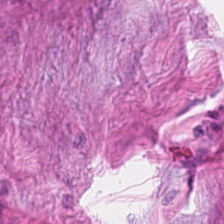Whole-slide-image patch. H&E. The predominant tissue is tumor stroma.
